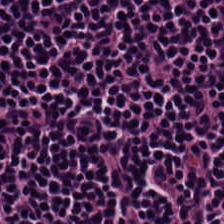Q: What is shown here?
A: It is lymphoid infiltrate.
